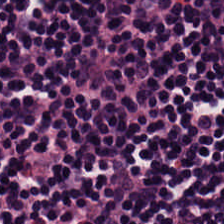H&E-stained tissue section. Q: What is shown here?
A: This is lymphocytic infiltrate.
